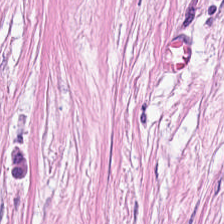The tissue here is tumor stroma.
